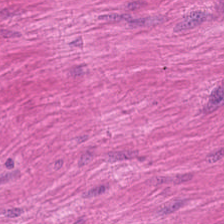Hematoxylin-and-eosin stained section — Impression → smooth-muscle tissue.
